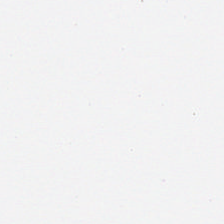H&E stain; 224×224 px tile; FFPE tissue section.
{"content": "no tissue"}
